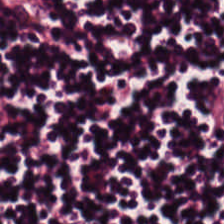The tissue here is lymphocyte aggregate.
